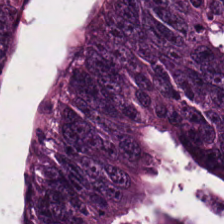Hematoxylin-and-eosin stained section. FFPE tissue section. Whole-slide-image patch.
Histology → malignant epithelium.
